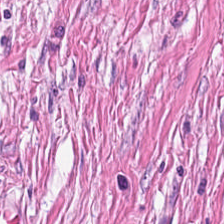Hematoxylin-and-eosin stained section — Q: Classify this patch.
A: Tumor stroma.
